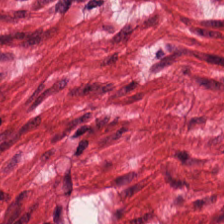Muscularis.
